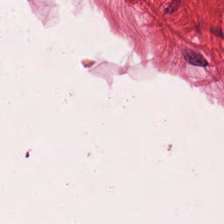Hematoxylin and eosin; brightfield. Tissue — smooth muscle.
